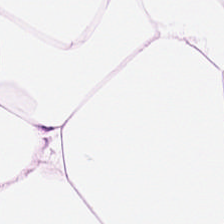20× equivalent magnification · H&E stain.
This field is adipocytes.
